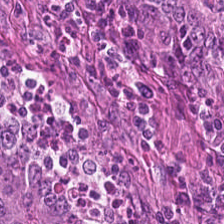H&E · 0.5 µm/px.
Tissue = colorectal adenocarcinoma.
